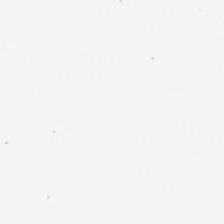H&E.
This field is background (no tissue).
